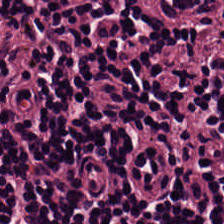H&E. The classification is lymphocytic infiltrate.
